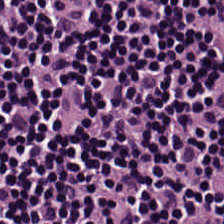The tissue here is lymphocytes.
